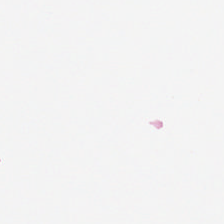Stain: hematoxylin-and-eosin stained section.
Classification: empty background.
